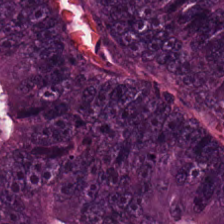Hematoxylin-and-eosin stained section.
Adenocarcinoma.
